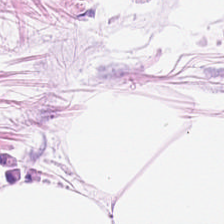Stain: hematoxylin and eosin.
Tissue: fat tissue.
